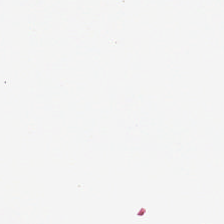Stain: hematoxylin-and-eosin stained section.
Classification: background (no tissue).
